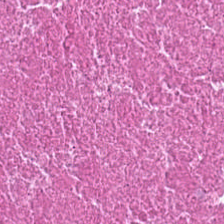Histology → debris.
